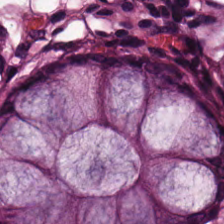Stain: H&E.
Tissue type: non-neoplastic colon mucosa.
